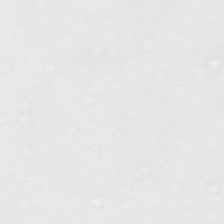Empty field — no tissue.
